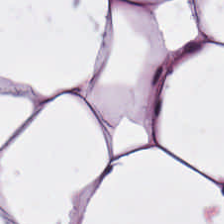WSI patch; H&E-stained tissue section — This patch shows adipose.
